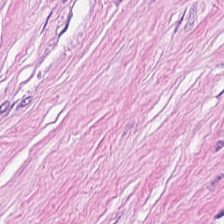FFPE tissue section · whole-slide-image patch · hematoxylin and eosin. Tissue class: cancer-associated stroma.
